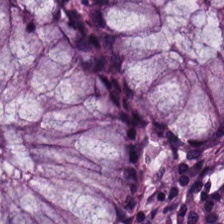H&E — Classification = normal colon mucosa.
